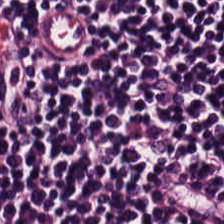Hematoxylin-and-eosin section: lymphocyte aggregate.
